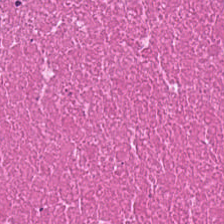H&E-stained tissue section. The tissue here is necrotic debris.
